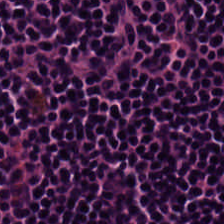224×224 px tile · H&E-stained tissue section.
Tissue: lymphocyte aggregate.
